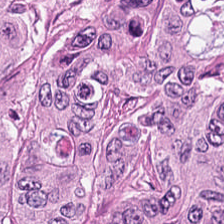FFPE. H&E — Q: What is shown in this field?
A: The field shows tumor epithelium.
